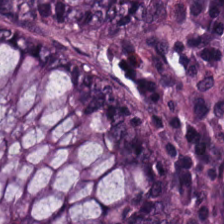Q: What is the predominant tissue type?
A: This is benign colonic mucosa.
